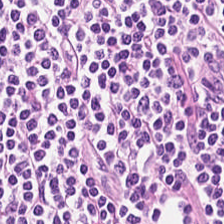H&E patch showing lymphocytic infiltrate.
